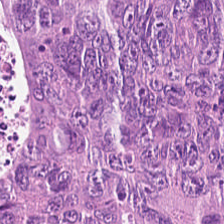Stain: H&E stain.
Acquisition: brightfield microscopy.
Tissue class: tumor epithelium.
